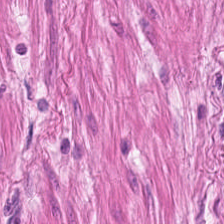Finding → smooth muscle.
